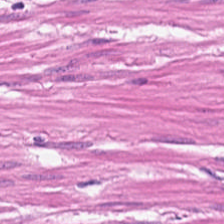Q: What tissue is shown?
A: The field shows smooth muscle.
